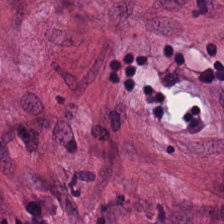H&E — tumor stroma.
